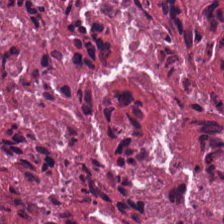H&E stain · 224×224 px tile · FFPE — Q: What is shown in this field?
A: Necrotic debris.
